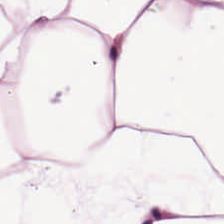224×224 px tile; H&E stain — Q: What is the predominant tissue type?
A: Adipose tissue.
